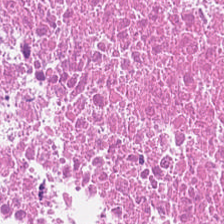Hematoxylin-and-eosin stained section.
Cellular debris.
